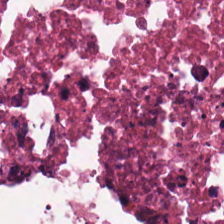Stain: hematoxylin-and-eosin stained section.
Tile size: 224×224 pixel tile.
Classification: debris.
